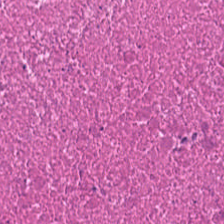H&E — necrotic debris.
